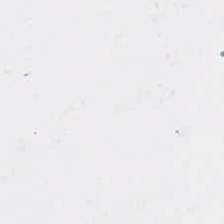Formalin-fixed paraffin-embedded section; 0.5 µm per pixel; hematoxylin and eosin. No tissue present; background only.
